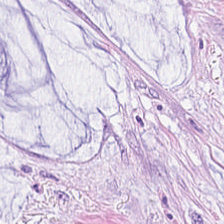Hematoxylin and eosin.
Impression → mucus.
